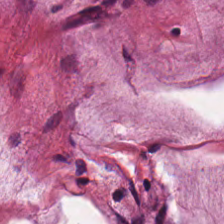Brightfield; 224×224 pixel tile; H&E.
Extracellular mucin.
